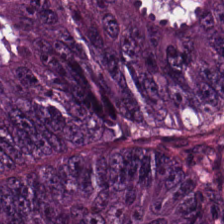0.5 µm per pixel; hematoxylin-and-eosin stained section; 224×224 px tile.
Q: Classify this patch.
A: This is colorectal adenocarcinoma epithelium.
